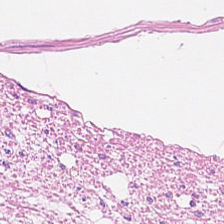The predominant tissue is smooth muscle.
